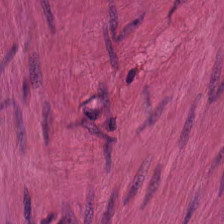WSI patch. H&E — Histology → muscularis.
